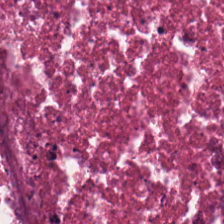H&E-stained tissue section. 224×224 pixel tile — Predominantly necrotic debris.
